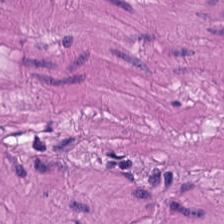Hematoxylin-and-eosin stained section.
Predominantly smooth-muscle tissue.
